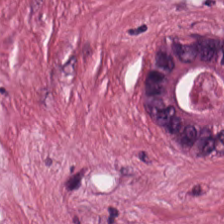Brightfield microscopy; hematoxylin and eosin; 20× equivalent magnification.
Finding — tumor stroma.
